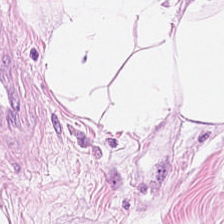H&E-stained tissue section — Showing adipose tissue.
